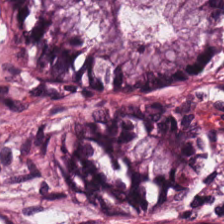Q: Classify this patch.
A: This is benign colonic mucosa.
